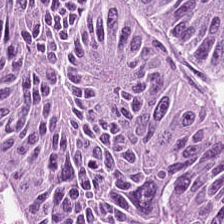Stain: H&E.
Tissue: colorectal adenocarcinoma.
